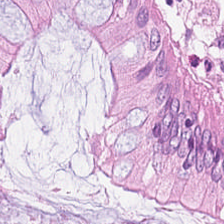H&E-stained tissue section. Brightfield. FFPE.
Q: What is shown here?
A: The field shows benign colonic mucosa.
